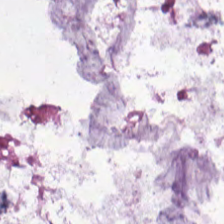H&E.
Histology → mucin.
